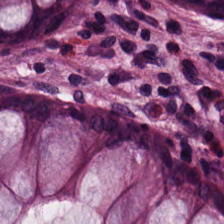The tissue here is normal colon mucosa.
